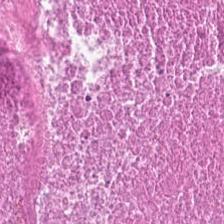Hematoxylin-and-eosin stained section · brightfield · FFPE tissue section — The predominant tissue is debris.
